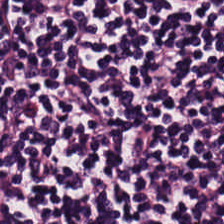FFPE. 224×224 px patch. Hematoxylin and eosin. Tissue type: lymphocytic infiltrate.
